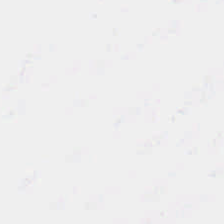Hematoxylin-and-eosin stained section — Q: What is shown in this field?
A: This is no tissue.
